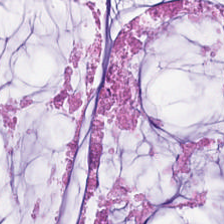Brightfield microscopy; H&E; FFPE.
Tissue class = mucus.
